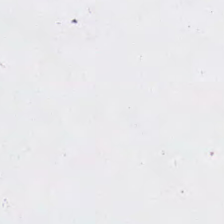Hematoxylin and eosin — Histology → empty background.
